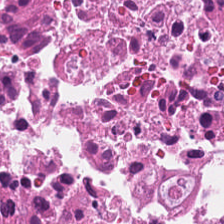WSI patch; H&E; 0.5 µm/px — Showing necrotic debris.
